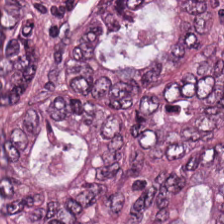H&E stain.
Histology → colorectal adenocarcinoma epithelium.
